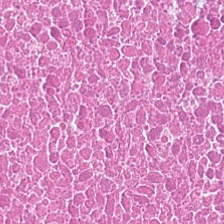Hematoxylin-and-eosin stained section. {"tissue_type": "cellular debris"}
